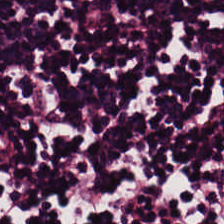Brightfield; H&E stain — The predominant tissue is lymphocyte aggregate.
